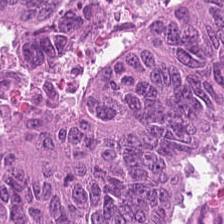H&E patch showing malignant epithelium.
